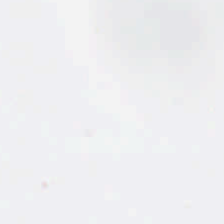Stain: H&E.
Resolution: 20× equivalent magnification.
Field content: background.
